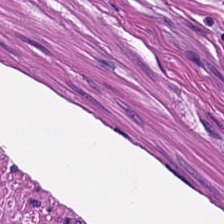Hematoxylin-and-eosin stained section — The tissue here is muscularis.
